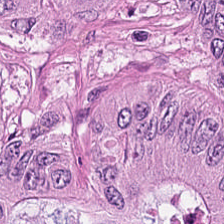Hematoxylin-and-eosin stained section. 20× equivalent magnification.
Tissue type — malignant epithelium.
